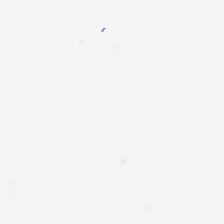0.5 µm/px. H&E. Background — no tissue in this field.
